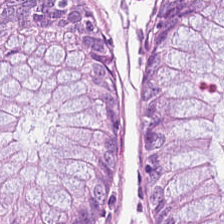H&E — Tissue = benign colonic mucosa.
